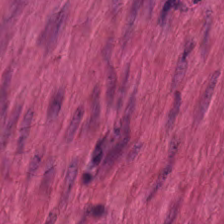The tissue here is smooth muscle.
